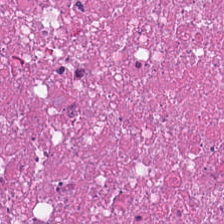Hematoxylin-and-eosin stained section.
The predominant tissue is necrotic debris.
